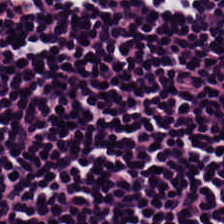Hematoxylin-and-eosin stained section. The tissue class is lymphocyte aggregate.
